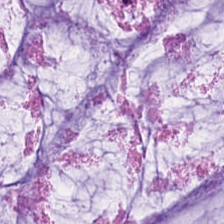H&E stain.
This field is extracellular mucin.
